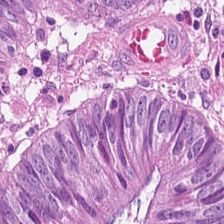Hematoxylin-and-eosin stained section. Q: Identify the tissue.
A: It is tumor epithelium.
